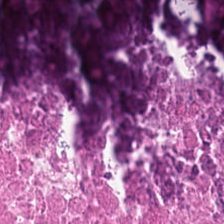The predominant tissue is necrotic debris.
